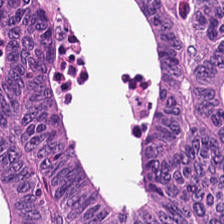0.5 µm/px · FFPE · H&E stain — Q: What is the predominant tissue type?
A: It is colorectal adenocarcinoma.
